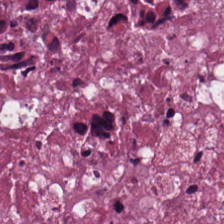Whole-slide-image patch. Hematoxylin-and-eosin stained section. {"tissue_type": "necrotic debris"}
